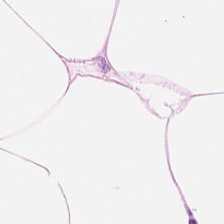FFPE tissue section · hematoxylin and eosin. This patch shows fat tissue.
